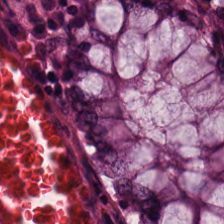Normal colon mucosa.
